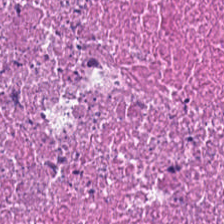The tissue class is necrotic debris.
